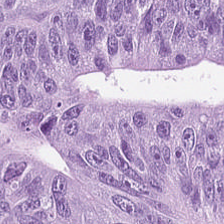H&E-stained tissue section · 0.5 µm per pixel. {"tissue_type": "malignant epithelium"}
